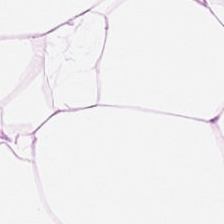Hematoxylin and eosin. 0.5 µm/px. Q: What tissue type is shown here?
A: It is adipose.
